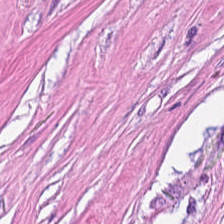Hematoxylin-and-eosin stained section.
Showing tumor stroma.
